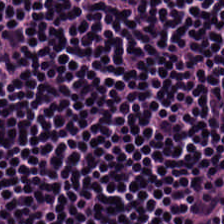Hematoxylin and eosin.
Showing lymphocyte aggregate.
